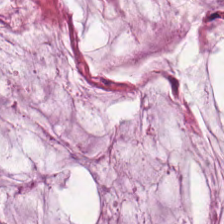Stain: H&E.
Tissue type: mucus.
